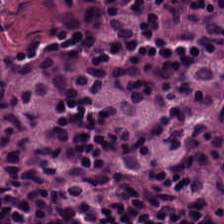The predominant tissue is lymphocyte aggregate.
